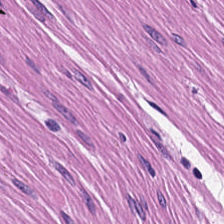Stain: H&E.
Tile size: 224×224 px tile.
Classification: muscularis.
